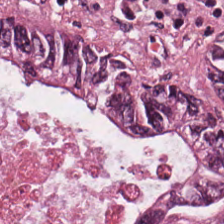Brightfield; H&E stain.
Q: Identify the tissue.
A: It is adenocarcinoma.
